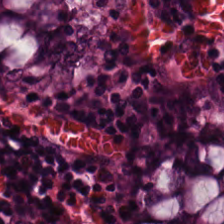Stain: H&E.
Predominant tissue: non-neoplastic colon mucosa.
